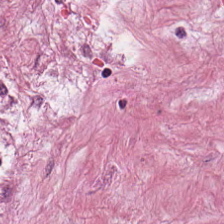Finding — desmoplastic stroma.
